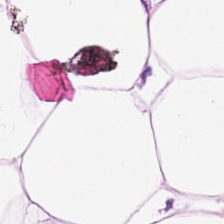20× equivalent magnification. Hematoxylin-and-eosin stained section.
Impression — fat tissue.
